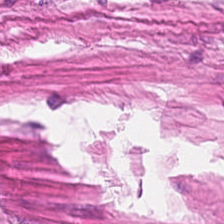H&E — Tissue class = smooth muscle.
